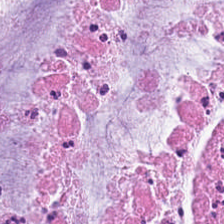Formalin-fixed paraffin-embedded section · hematoxylin-and-eosin stained section.
{"tissue_type": "extracellular mucin"}
